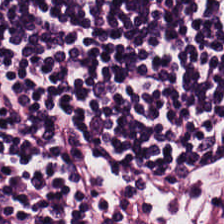Histology → lymphocytic infiltrate.
